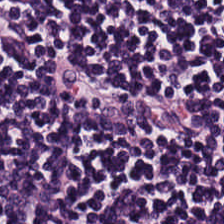H&E stain — Tissue type = lymphocytes.
